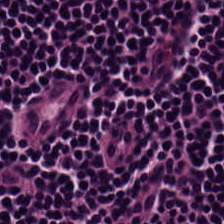H&E stain. This patch shows lymphoid infiltrate.
